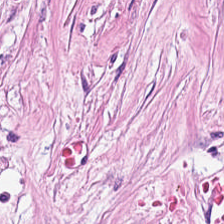Impression → cancer-associated stroma.
